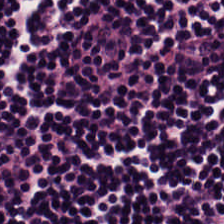Stain: hematoxylin and eosin.
Preparation: FFPE tissue section.
Predominant tissue: lymphocytes.
